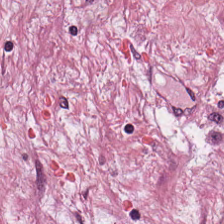H&E stain; 224×224 px patch. The predominant tissue is desmoplastic stroma.
